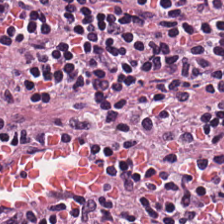H&E-stained tissue section; whole-slide-image patch. The tissue here is lymphocytic infiltrate.
